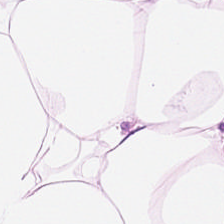H&E-stained tissue section · whole-slide-image patch.
Adipocytes.
